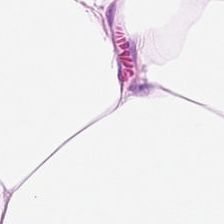Hematoxylin and eosin. This field is adipocytes.
